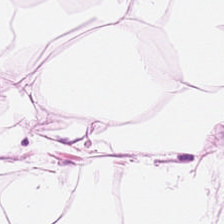Hematoxylin and eosin — {"tissue_type": "adipose"}
